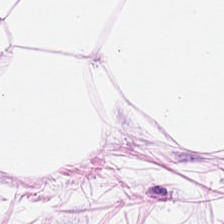Brightfield microscopy · H&E.
Q: Classify this patch.
A: The field shows adipocytes.
